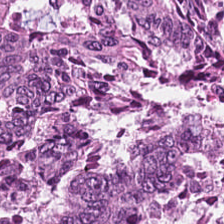Stain: H&E stain.
Predominant tissue: adenocarcinoma.
